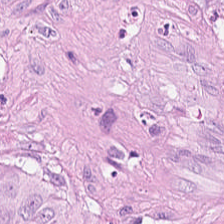H&E-stained tissue section; whole-slide-image patch; 224×224 px tile — The classification is tumor epithelium.
